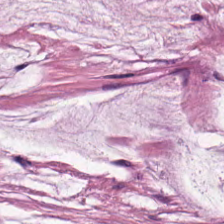Hematoxylin-and-eosin stained section · 224×224 pixel tile — Tissue type = mucus.
